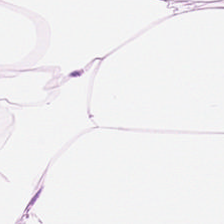Hematoxylin-and-eosin stained section. Tissue — fat tissue.
